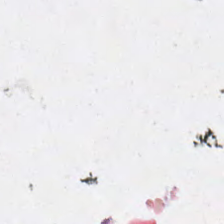Hematoxylin and eosin. Content: no tissue.
